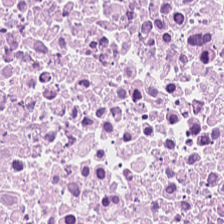FFPE tissue section · H&E stain · brightfield.
Q: Classify this patch.
A: Necrotic debris.
